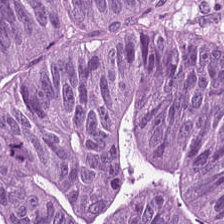FFPE tissue section; H&E-stained tissue section — Impression — colorectal adenocarcinoma epithelium.
